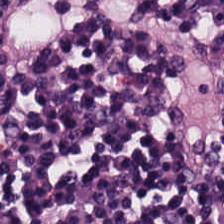H&E stain. The tissue here is lymphocytes.
